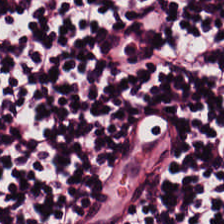Stain: H&E-stained tissue section.
Predominant tissue: lymphocytic infiltrate.
